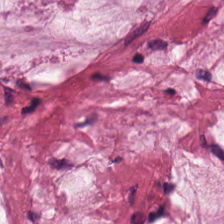H&E. Finding — mucin.
